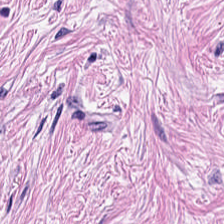H&E. Classification: tumor-associated stroma.
